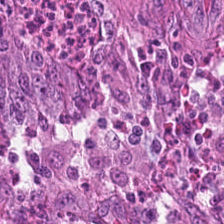H&E. Whole-slide-image patch.
Q: What is the predominant tissue type?
A: It is colorectal adenocarcinoma.
